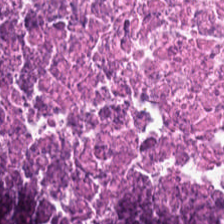FFPE; hematoxylin and eosin; WSI patch.
Cellular debris.
